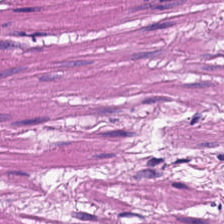H&E-stained tissue section showing smooth muscle.
